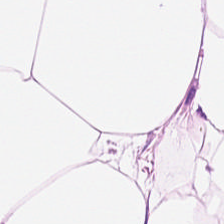20× equivalent magnification. Hematoxylin-and-eosin stained section — This field is adipose.
